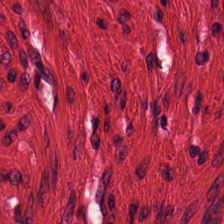Predominant tissue — smooth-muscle tissue.
